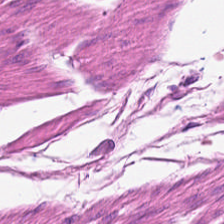Stain: H&E-stained tissue section.
Resolution: 20× equivalent magnification.
Predominant tissue: smooth muscle.
